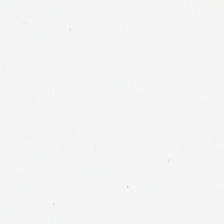0.5 µm/px · H&E-stained tissue section. Q: What is shown here?
A: It is background.
